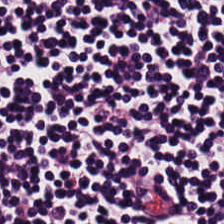H&E-stained tissue section. This field is lymphocyte aggregate.
